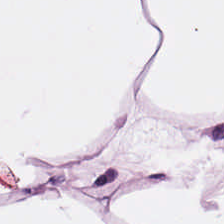H&E-stained tissue section. Fat tissue.
